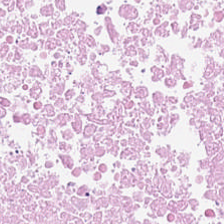Finding → debris.
